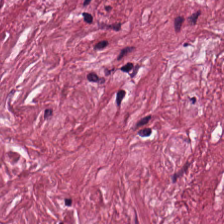Hematoxylin and eosin.
Finding — tumor-associated stroma.
